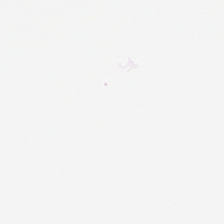No tissue present; background only.
